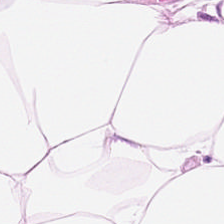Hematoxylin and eosin; FFPE tissue section — Q: What is the predominant tissue type?
A: This is adipose.
